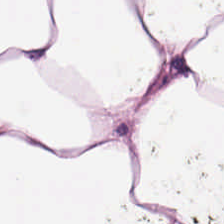H&E stain.
Q: What is shown in this field?
A: The field shows adipocytes.
